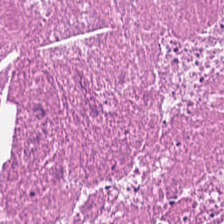H&E stain · FFPE tissue section · 0.5 µm/px — Q: What is shown in this field?
A: This is necrotic debris.
